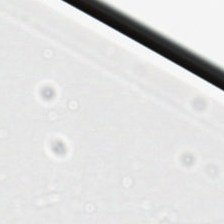H&E-stained tissue section. Background — no tissue in this field.
